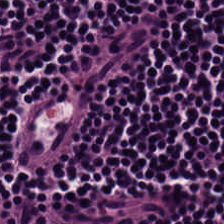H&E — lymphoid infiltrate.
